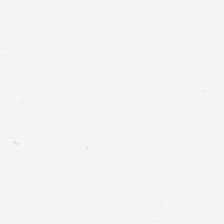H&E. Content — empty background.
